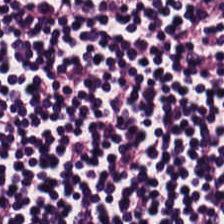0.5 microns per pixel; H&E; 224×224 pixel tile. Q: What is shown here?
A: The field shows lymphocyte aggregate.
